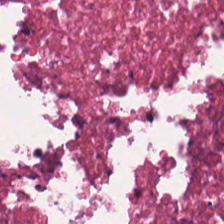H&E-stained tissue section.
Q: What tissue type is shown here?
A: The field shows cellular debris.
